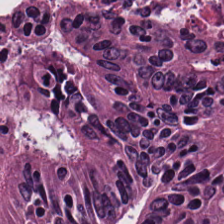{"tissue_type": "tumor epithelium"}
